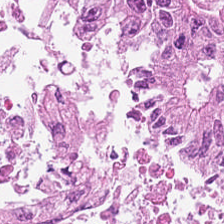Hematoxylin-and-eosin stained section · 0.5 microns per pixel.
Showing adenocarcinoma.
